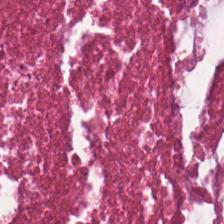H&E stain.
This field is cellular debris.
